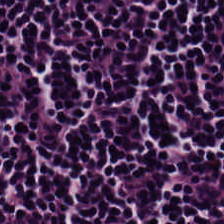WSI patch; H&E; 0.5 µm per pixel — Tissue type — lymphoid infiltrate.
